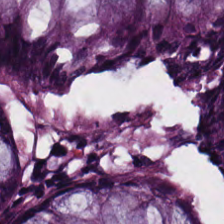H&E-stained tissue section; brightfield.
Impression — non-neoplastic colon mucosa.
